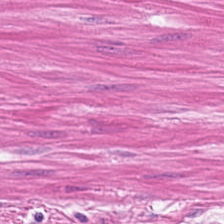Hematoxylin-and-eosin stained section; brightfield microscopy. {"tissue_type": "smooth-muscle tissue"}
